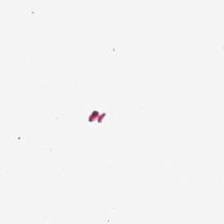H&E. Content — no tissue.
